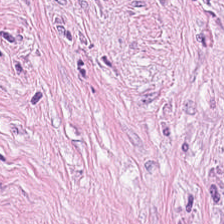Formalin-fixed paraffin-embedded section · hematoxylin-and-eosin stained section.
Predominantly tumor-associated stroma.
